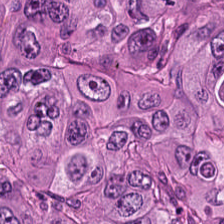Impression → colorectal adenocarcinoma epithelium.
